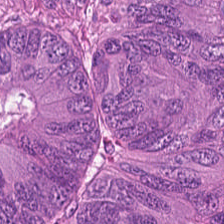H&E. Showing tumor epithelium.
